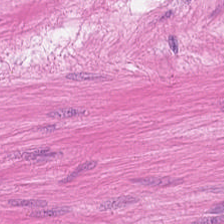Stain: H&E.
Acquisition: WSI patch.
Tissue class: smooth muscle.
